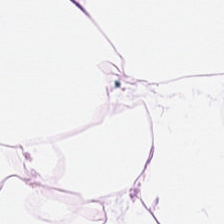Stain: H&E.
Tissue: fat tissue.
